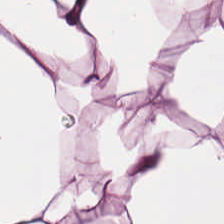H&E stain.
{"tissue_type": "adipocytes"}
